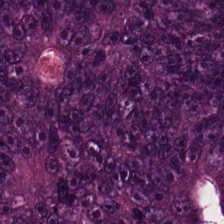Stain: H&E-stained tissue section.
Tissue: tumor epithelium.
